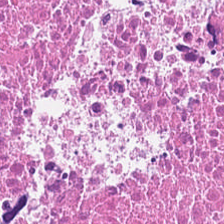H&E stain — Tissue type — necrotic debris.
